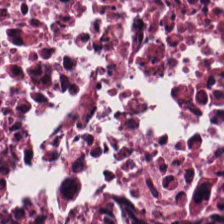Hematoxylin-and-eosin stained section. Q: What is shown in this field?
A: The field shows cellular debris.
